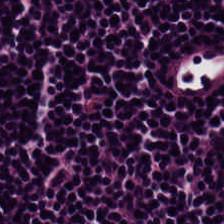Lymphoid infiltrate.
